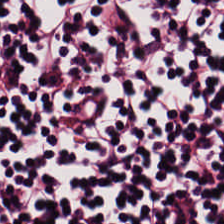Stain: hematoxylin and eosin.
Preparation: formalin-fixed paraffin-embedded section.
Predominant tissue: lymphocytic infiltrate.
